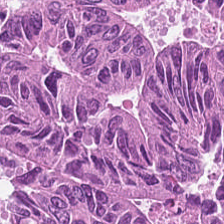Hematoxylin-and-eosin stained section — The tissue here is adenocarcinoma.
